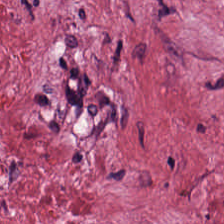H&E stain. 224×224 px patch.
This patch shows tumor stroma.
